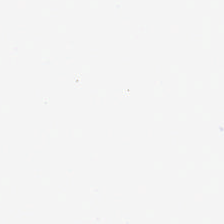224×224 pixel tile · H&E stain — Background.
